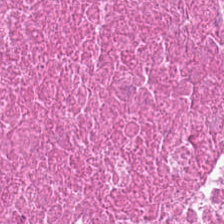Hematoxylin-and-eosin stained section — The tissue is cellular debris.
